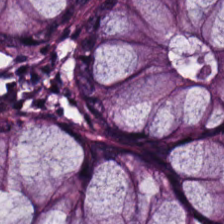{"tissue_type": "non-neoplastic colon mucosa"}
